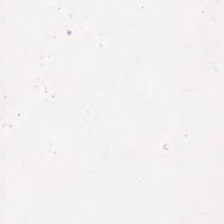Tissue: necrotic debris.
